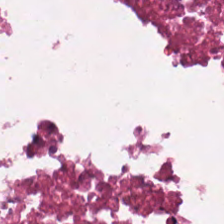Predominant tissue: cellular debris.
